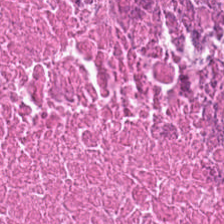0.5 µm/px · H&E-stained tissue section · FFPE tissue section — Necrotic debris.
